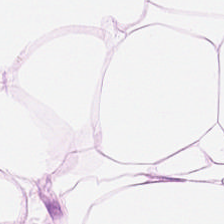Hematoxylin and eosin. 224×224 px patch — Adipose tissue.
